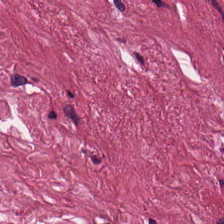Formalin-fixed paraffin-embedded section; hematoxylin-and-eosin stained section.
Q: What tissue type is shown here?
A: It is cancer-associated stroma.
